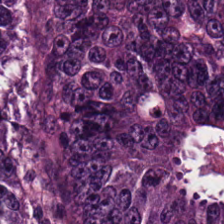Stain: H&E stain.
Preparation: FFPE.
Predominant tissue: colorectal adenocarcinoma.
